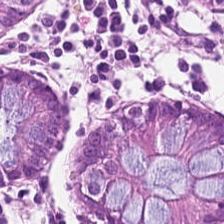H&E. FFPE tissue section — The predominant tissue is normal colonic mucosa.
